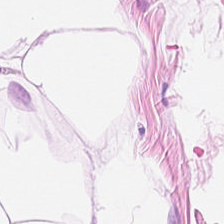Brightfield microscopy; hematoxylin-and-eosin stained section. Showing fat tissue.
